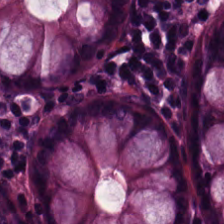Stain: hematoxylin and eosin.
Preparation: FFPE tissue section.
Tissue: non-neoplastic colon mucosa.
